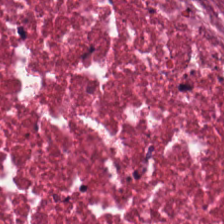H&E-stained tissue section. This patch shows cellular debris.
